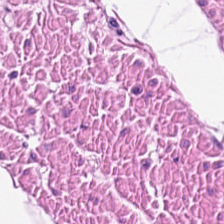H&E. Classification — smooth-muscle tissue.
